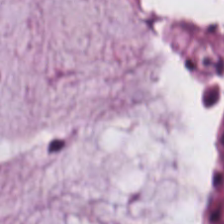H&E — This patch shows mucus.
